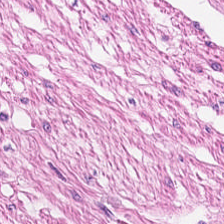Histology — smooth-muscle tissue.
